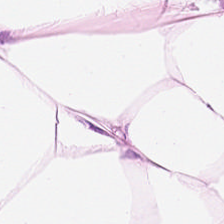H&E; 224×224 pixel tile; whole-slide-image patch.
Impression → adipocytes.
